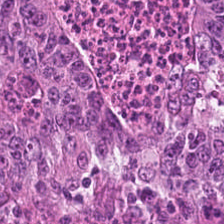H&E stain — Tissue = colorectal adenocarcinoma epithelium.
